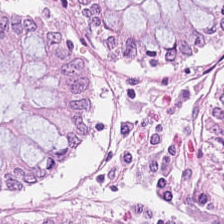H&E-stained tissue section. The predominant tissue is normal colon mucosa.
